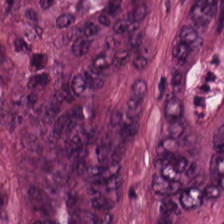H&E stain.
Classification — adenocarcinoma.
